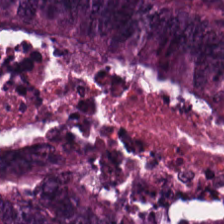Classification = colorectal adenocarcinoma.
